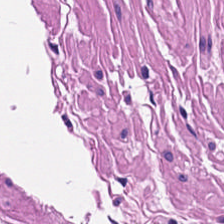Hematoxylin-and-eosin stained section — Classification — smooth muscle.
